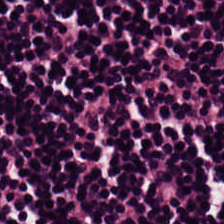H&E.
Tissue type = lymphocyte aggregate.
